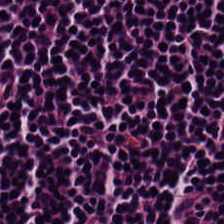Whole-slide-image patch · H&E-stained tissue section — Impression → lymphocyte aggregate.
